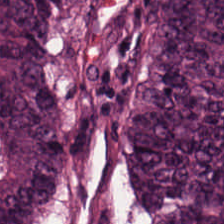Stain: H&E-stained tissue section.
Tissue: colorectal adenocarcinoma epithelium.
